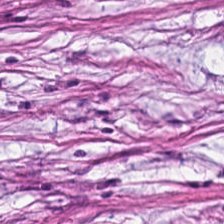H&E-stained tissue section — The tissue here is cancer-associated stroma.
